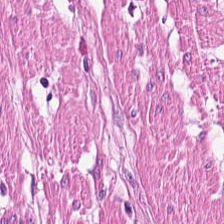H&E; formalin-fixed paraffin-embedded section — This patch shows smooth-muscle tissue.
